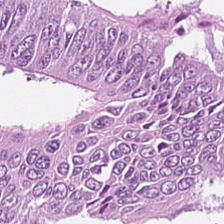H&E. Predominantly adenocarcinoma.
